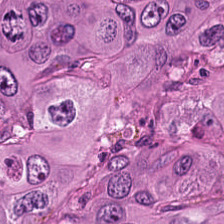Histology → colorectal adenocarcinoma epithelium.
